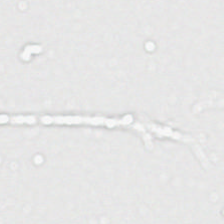Whole-slide-image patch; hematoxylin-and-eosin stained section — Classification = no tissue.
